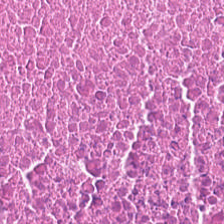Classification — necrotic debris.
